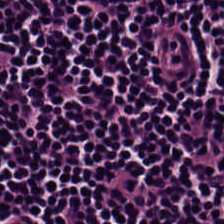Hematoxylin and eosin. 20× equivalent magnification. Q: What tissue is shown?
A: This is lymphoid infiltrate.
